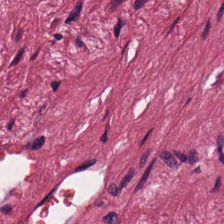H&E-stained tissue section. The tissue here is tumor stroma.
